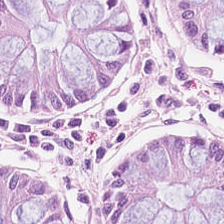H&E. Tissue — non-neoplastic colon mucosa.
